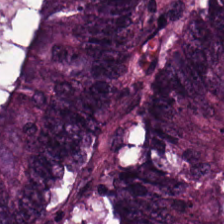0.5 µm per pixel · H&E stain. Classification — malignant epithelium.
